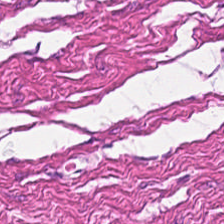The tissue is muscularis.
